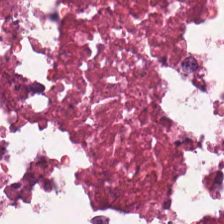H&E-stained tissue section. {"tissue_type": "necrotic debris"}
